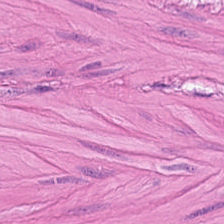H&E-stained tissue section. Smooth-muscle tissue.
